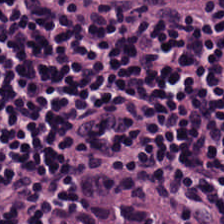H&E stain. FFPE.
The tissue type is lymphocyte aggregate.
